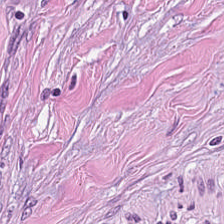Hematoxylin-and-eosin stained section. 0.5 microns per pixel.
Showing tumor stroma.
